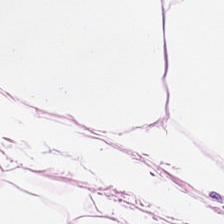H&E-stained tissue section. 0.5 µm per pixel. Whole-slide-image patch.
Tissue — adipose tissue.
